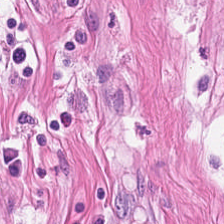Q: What is the predominant tissue type?
A: Muscularis.
